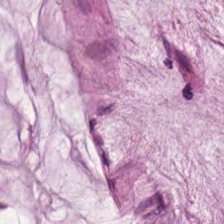H&E stain.
The tissue class is mucin.
